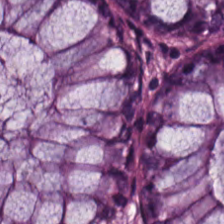H&E-stained tissue section.
The tissue is normal colon mucosa.
